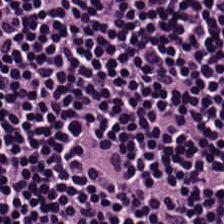This field is lymphocyte aggregate.
